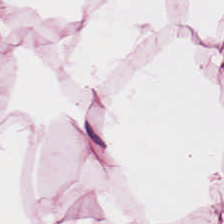Hematoxylin and eosin; 224×224 px tile; whole-slide-image patch. The tissue type is fat tissue.
